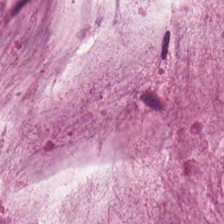H&E-stained tissue section — Predominantly extracellular mucin.
